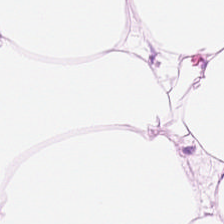{"tissue_type": "adipose"}
